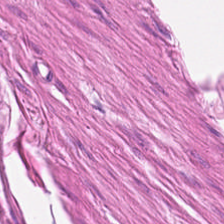Hematoxylin-and-eosin stained section · 0.5 µm/px · 224×224 px patch. Predominant tissue = muscularis.
